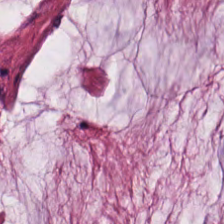Tissue class: mucin.
